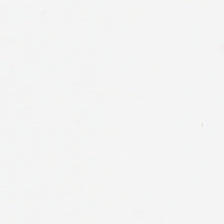0.5 µm/px. Whole-slide-image patch. Hematoxylin-and-eosin stained section.
Classification: no tissue.
